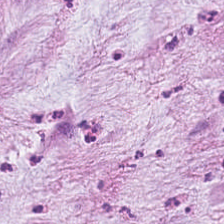H&E — extracellular mucin.
